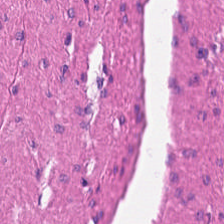H&E-stained tissue section. This field is smooth-muscle tissue.
